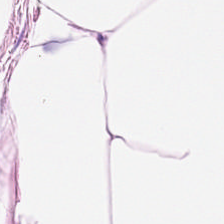Formalin-fixed paraffin-embedded section. H&E stain. Predominantly adipose.
